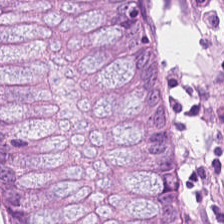H&E-stained tissue section. Q: What tissue type is shown here?
A: The field shows benign colonic mucosa.
